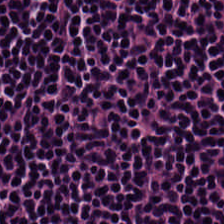Hematoxylin-and-eosin stained section — This field is lymphocytic infiltrate.
